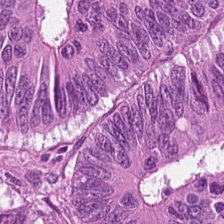Hematoxylin and eosin. Predominantly adenocarcinoma.
